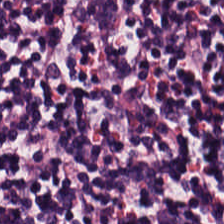Stain: hematoxylin and eosin.
Tile size: 224×224 px patch.
Tissue: lymphocytic infiltrate.
